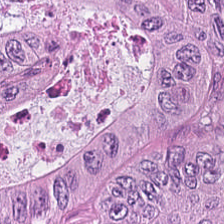Adenocarcinoma.
